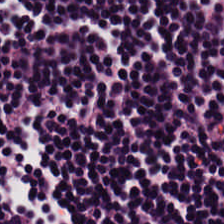H&E — Tissue type = lymphocytes.
